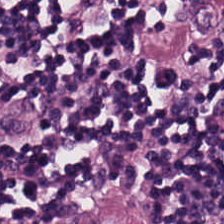Whole-slide-image patch; FFPE tissue section; hematoxylin and eosin. Tissue class = lymphoid infiltrate.
